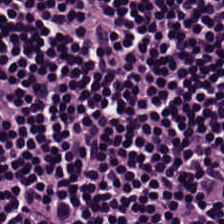224×224 pixel tile; H&E stain. This patch shows lymphocytes.
